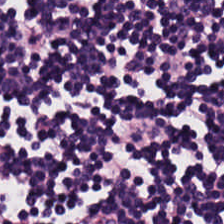H&E patch showing lymphocytes.
